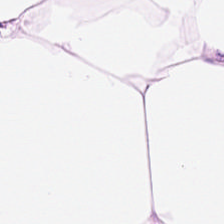The predominant tissue is adipocytes.
